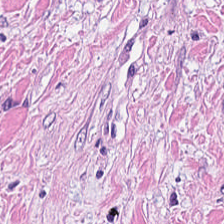Tumor stroma.
